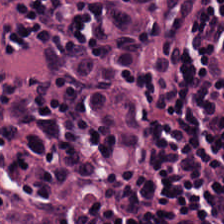Whole-slide-image patch · H&E-stained tissue section · FFPE tissue section.
Impression → lymphoid infiltrate.
